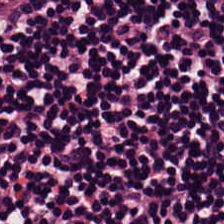Hematoxylin and eosin.
{"tissue_type": "lymphocytes"}
